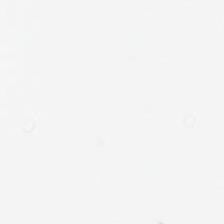Hematoxylin-and-eosin stained section. Histology → background.
